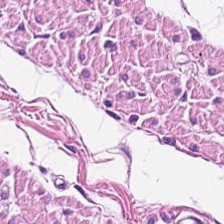Tissue type — muscularis.
